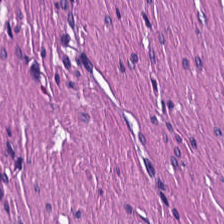Hematoxylin-and-eosin stained section — Predominantly smooth-muscle tissue.
